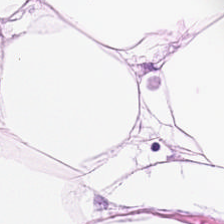Tissue type = adipose.
